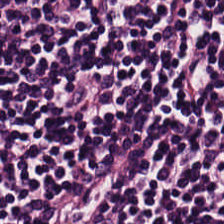H&E stain. Finding — lymphoid infiltrate.
